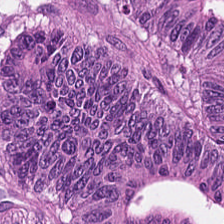Hematoxylin-and-eosin stained section; 20× equivalent magnification.
Finding → colorectal adenocarcinoma.
